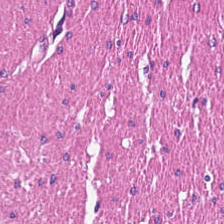H&E · 20× equivalent magnification — Q: What tissue is shown?
A: Muscularis.
